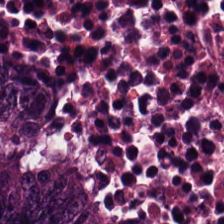H&E-stained tissue section — Finding → malignant epithelium.
